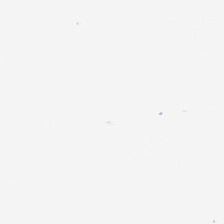Stain: H&E stain.
Resolution: 20× equivalent magnification.
Acquisition: brightfield.
Field content: no tissue.
